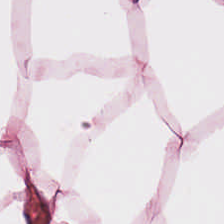Brightfield. Hematoxylin-and-eosin stained section — The predominant tissue is adipose.
